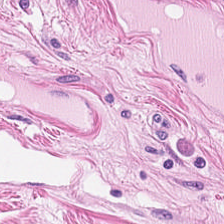224×224 px patch; hematoxylin-and-eosin stained section.
Tissue class: muscularis.
